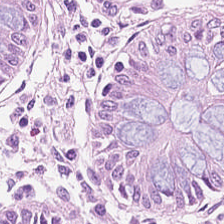WSI patch. 224×224 px patch. Hematoxylin and eosin. Impression → normal colonic mucosa.
